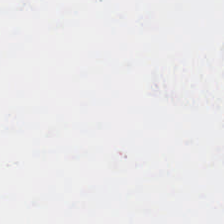Hematoxylin-and-eosin stained section.
Classification = background.
